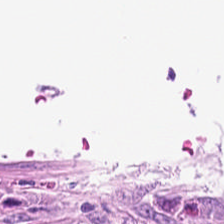Hematoxylin and eosin — Background — no tissue in this field.
